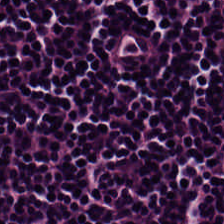Hematoxylin-and-eosin stained section — Finding — lymphocytes.
